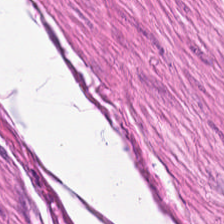Finding → muscularis.
